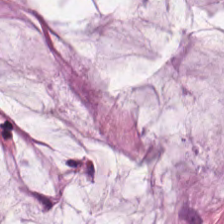0.5 µm per pixel. H&E. The tissue here is extracellular mucin.
